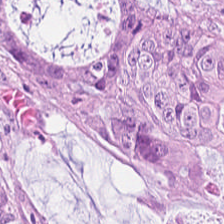Hematoxylin-and-eosin stained section.
Q: What tissue is shown?
A: Tumor epithelium.
